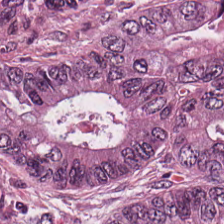Stain: H&E stain.
Resolution: 0.5 µm per pixel.
Tissue: tumor epithelium.
